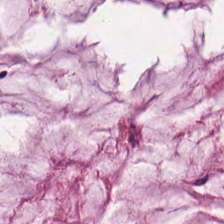H&E-stained tissue section. 224×224 px tile. 20× equivalent magnification.
Mucin.
